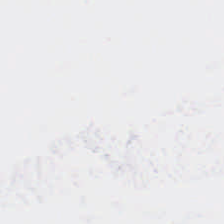H&E stain. No tissue present; background only.
